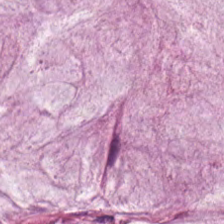WSI patch · hematoxylin and eosin · 224×224 pixel tile — This field is mucus.
